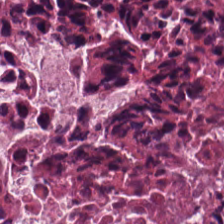Hematoxylin-and-eosin stained section. 224×224 px tile.
Q: What tissue is shown?
A: Cellular debris.
